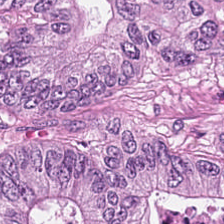H&E stain. This patch shows colorectal adenocarcinoma.
